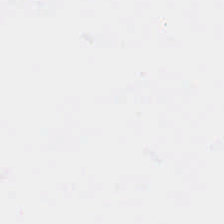Q: Classify this patch.
A: This is no tissue.
